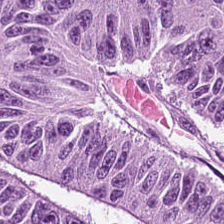H&E-stained tissue section — Q: What tissue type is shown here?
A: The field shows malignant epithelium.
